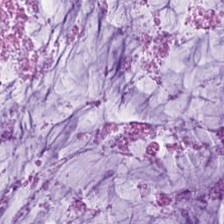Hematoxylin and eosin — Predominantly mucus.
